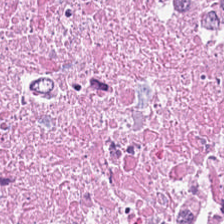Q: Classify this patch.
A: This is debris.
